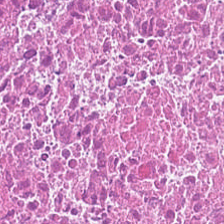H&E-stained tissue section. Q: What is the predominant tissue type?
A: This is debris.
